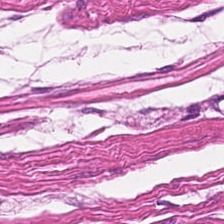Hematoxylin and eosin · formalin-fixed paraffin-embedded section · 224×224 px tile. Q: Classify this patch.
A: The field shows muscularis.
